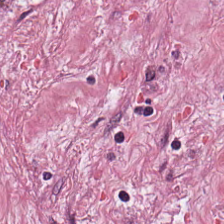H&E-stained tissue section. This patch shows cancer-associated stroma.
